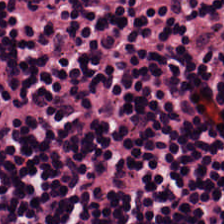Tissue — lymphocyte aggregate.
